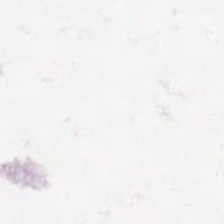H&E stain · 224×224 px tile. Q: What is shown here?
A: No tissue.
